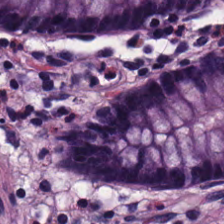0.5 µm per pixel. Hematoxylin-and-eosin stained section.
Tissue type — benign colonic mucosa.
